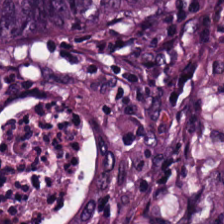H&E-stained tissue section. 224×224 px patch.
The tissue here is tumor epithelium.
